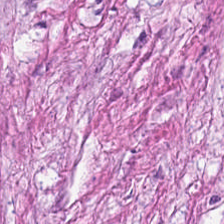Q: What does this patch show?
A: This is tumor stroma.
